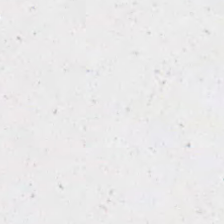H&E stain. Content = background.
